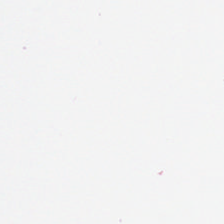Q: What is shown in this field?
A: The field shows background.
